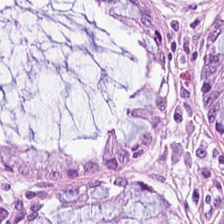Hematoxylin and eosin.
Tissue = non-neoplastic colon mucosa.
